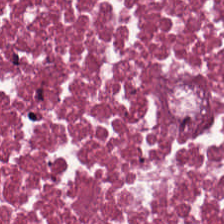H&E-stained tissue section; 224×224 px patch; whole-slide-image patch. {"tissue_type": "debris"}
